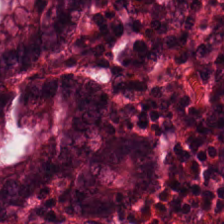H&E stain. 0.5 µm per pixel. Brightfield — {"tissue_type": "benign colonic mucosa"}
